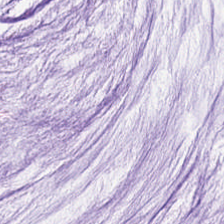Hematoxylin-and-eosin stained section. The predominant tissue is mucus.
